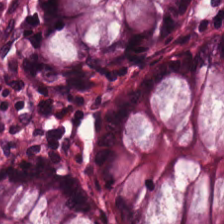H&E-stained tissue section; 0.5 microns per pixel. This patch shows normal colonic mucosa.
